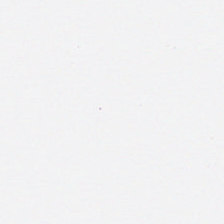H&E.
{"content": "background (no tissue)"}
